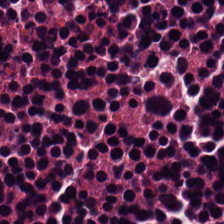Hematoxylin-and-eosin stained section. 20× equivalent magnification. 224×224 px tile. Tissue: necrotic debris.
